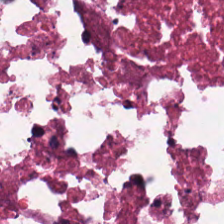Hematoxylin and eosin · FFPE tissue section. The tissue here is debris.
